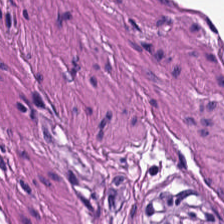0.5 microns per pixel; FFPE; hematoxylin-and-eosin stained section — Q: Identify the tissue.
A: This is smooth-muscle tissue.
